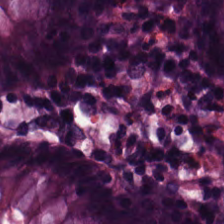H&E-stained tissue section · 224×224 px patch. Tissue — benign colonic mucosa.
